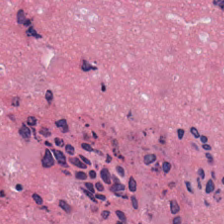H&E stain — Debris.
